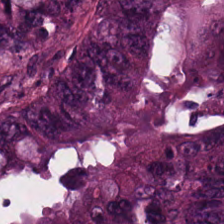H&E. This field is malignant epithelium.
